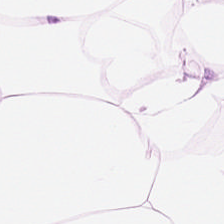H&E stain. Predominantly adipose tissue.
